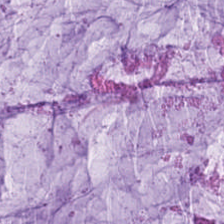Tissue: mucin.
